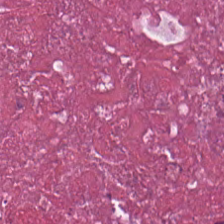Showing cellular debris.
